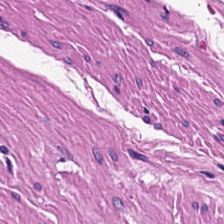H&E stain. Smooth-muscle tissue.
